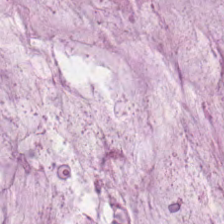{"tissue_type": "mucin"}
